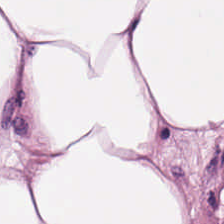Tissue: adipocytes.
